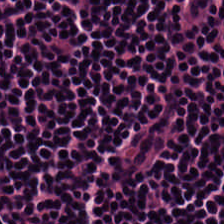H&E stain. The predominant tissue is lymphocytic infiltrate.
